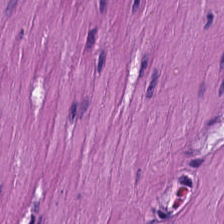Stain: H&E.
Classification: smooth-muscle tissue.
